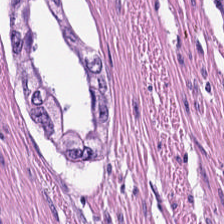Q: What tissue is shown?
A: This is smooth-muscle tissue.
